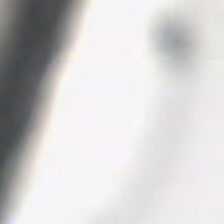FFPE; H&E.
Q: What is shown in this field?
A: This is background.
